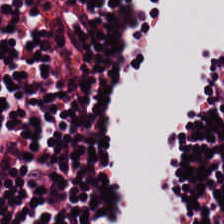Hematoxylin-and-eosin stained section — The tissue is lymphocyte aggregate.
